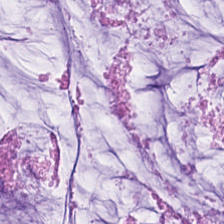Brightfield microscopy. H&E-stained tissue section.
This field is mucus.
